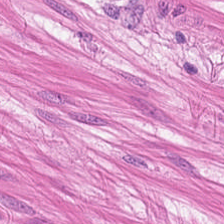H&E-stained tissue section. Histology → smooth-muscle tissue.
